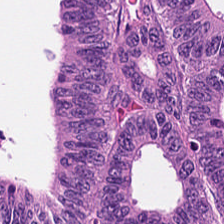H&E stain — The classification is colorectal adenocarcinoma.
